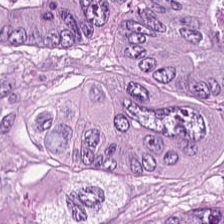H&E.
The tissue class is colorectal adenocarcinoma.
